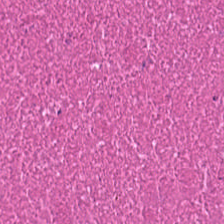Hematoxylin-and-eosin section: cellular debris.
